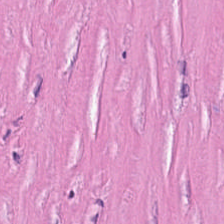Showing tumor stroma.
